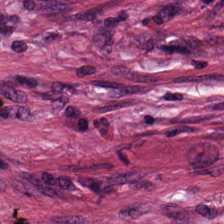H&E patch showing cancer-associated stroma.
